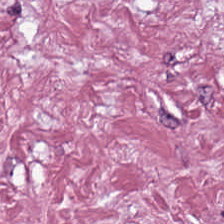Stain: hematoxylin-and-eosin stained section.
Predominant tissue: cancer-associated stroma.
